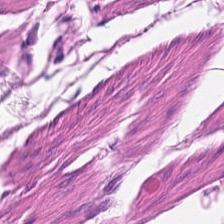H&E-stained section; the field shows smooth-muscle tissue.
